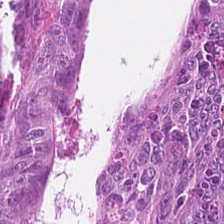H&E stain.
The tissue type is colorectal adenocarcinoma epithelium.
